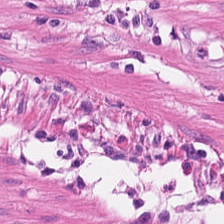H&E-stained tissue section. WSI patch.
Impression → smooth-muscle tissue.
